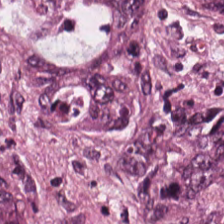Stain: H&E.
Acquisition: WSI patch.
Tile size: 224×224 px tile.
Tissue type: tumor epithelium.
